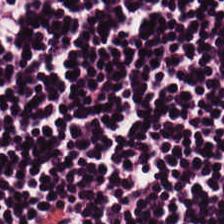0.5 µm per pixel. H&E — The tissue here is lymphocyte aggregate.
